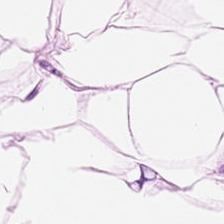FFPE. Hematoxylin and eosin — The predominant tissue is adipose.
